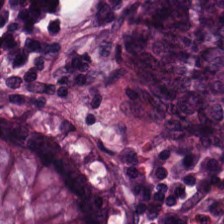Finding — non-neoplastic colon mucosa.
